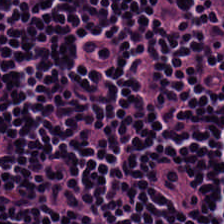Brightfield. H&E stain. Formalin-fixed paraffin-embedded section — Predominant tissue = lymphocyte aggregate.
